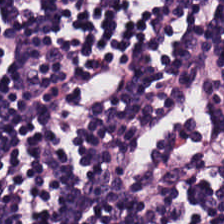H&E-stained tissue section.
Q: What is shown in this field?
A: The field shows lymphocyte aggregate.
